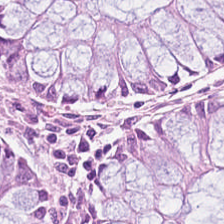0.5 µm/px · H&E stain.
Normal colon mucosa.
